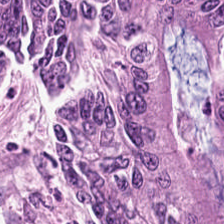Whole-slide-image patch · 0.5 µm/px · H&E-stained tissue section.
Q: What tissue is shown?
A: The field shows adenocarcinoma.
